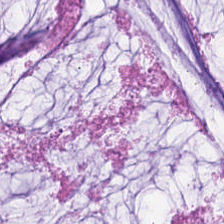Stain: hematoxylin and eosin.
Predominant tissue: mucus.
